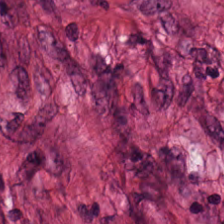Finding → cancer-associated stroma.
